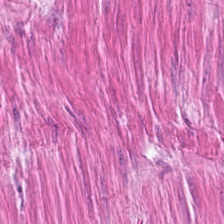Brightfield. Hematoxylin and eosin. Showing smooth-muscle tissue.
